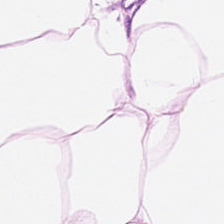Impression — adipose tissue.
